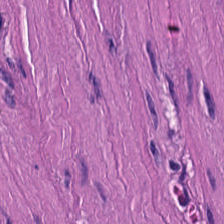H&E patch showing smooth-muscle tissue.
